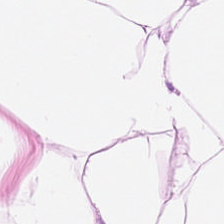Hematoxylin-and-eosin stained section — Adipose.
